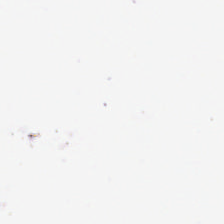Background — no tissue in this field.
